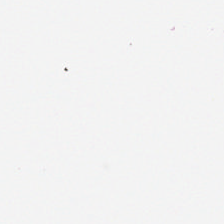Field content: background (no tissue).
